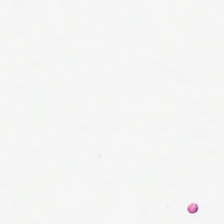This field is background (no tissue).
